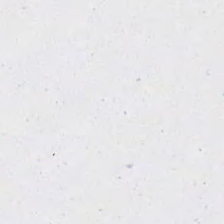No tissue present; background only.
